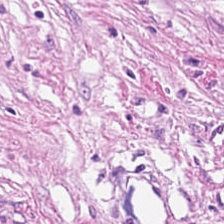H&E-stained tissue section. Brightfield — Finding — desmoplastic stroma.
